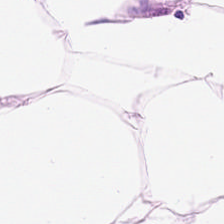Tissue class: fat tissue.
